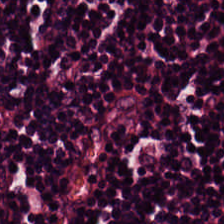FFPE · H&E stain.
Lymphocyte aggregate.
